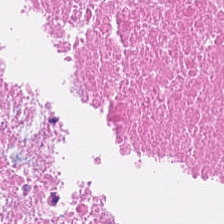H&E stain.
Predominant tissue — necrotic debris.
